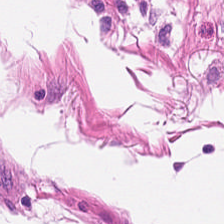H&E — Classification — muscularis.
